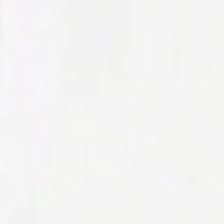H&E-stained tissue section — {"content": "empty background"}
